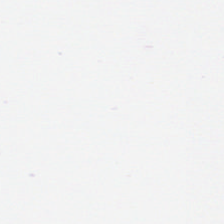Hematoxylin-and-eosin stained section — The classification is background (no tissue).
